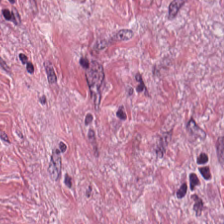H&E-stained tissue section.
{"tissue_type": "desmoplastic stroma"}
